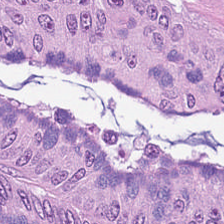WSI patch; H&E-stained tissue section.
Predominantly tumor epithelium.
